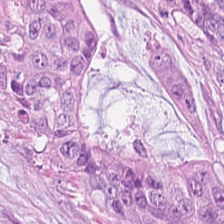Formalin-fixed paraffin-embedded section · brightfield · H&E.
Predominantly malignant epithelium.
